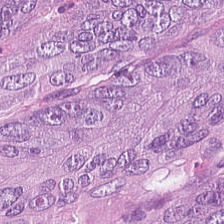Hematoxylin and eosin · whole-slide-image patch — This patch shows malignant epithelium.
